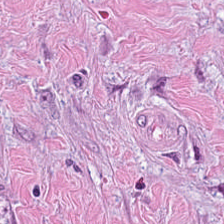Hematoxylin and eosin — The tissue is tumor stroma.
